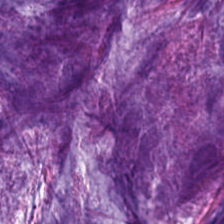{"tissue_type": "mucus"}
